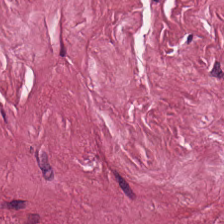H&E.
The tissue here is tumor stroma.
